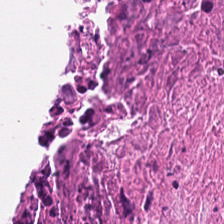Hematoxylin and eosin — Q: Classify this patch.
A: This is cellular debris.
